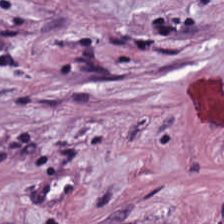Brightfield microscopy; hematoxylin-and-eosin stained section. Tumor-associated stroma.
